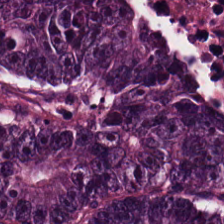0.5 µm/px. Hematoxylin-and-eosin stained section.
Q: What is shown here?
A: The field shows malignant epithelium.
